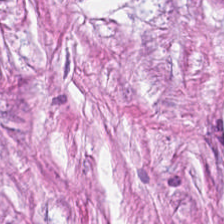WSI patch · H&E stain — Tissue: tumor-associated stroma.
